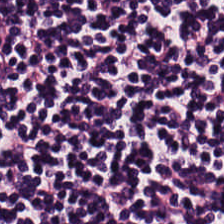FFPE tissue section · H&E stain. Tissue type — lymphoid infiltrate.
